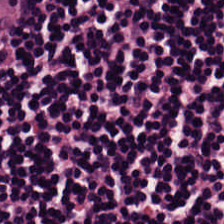Hematoxylin-and-eosin stained section.
The predominant tissue is lymphocytes.
